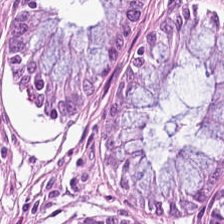H&E.
{"tissue_type": "normal colonic mucosa"}
